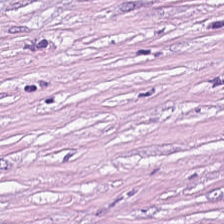Hematoxylin-and-eosin stained section. Brightfield microscopy — Tissue class: tumor-associated stroma.
